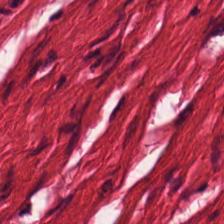Hematoxylin and eosin.
This field is smooth-muscle tissue.
